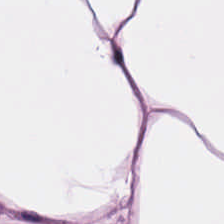Hematoxylin and eosin · 224×224 pixel tile.
This field is adipocytes.
